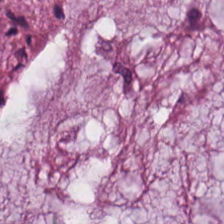H&E.
The predominant tissue is mucus.
